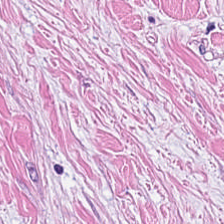0.5 µm/px. Hematoxylin and eosin.
The tissue here is cancer-associated stroma.
